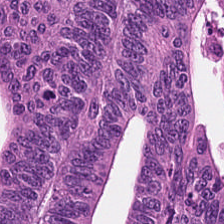H&E stain.
Malignant epithelium.
